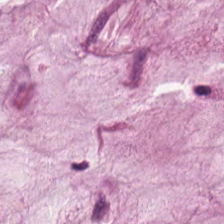Hematoxylin and eosin · 224×224 pixel tile · WSI patch — Predominant tissue = mucus.
